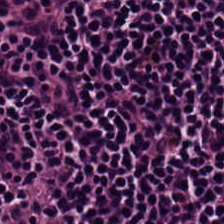Hematoxylin and eosin.
This patch shows lymphocyte aggregate.
